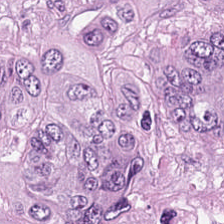Hematoxylin and eosin.
This field is colorectal adenocarcinoma epithelium.
